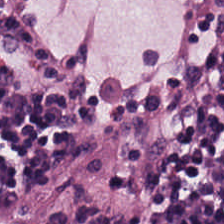Classification — lymphocytes.
